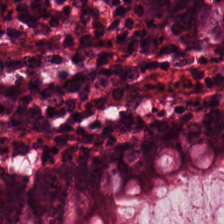Brightfield · H&E stain.
The tissue is normal colonic mucosa.
